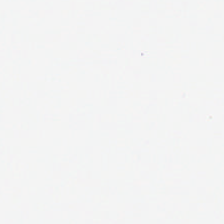H&E stain — Finding → no tissue.
